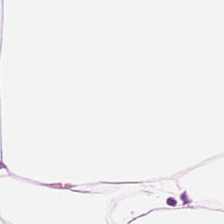Stain: H&E.
Classification: fat tissue.
